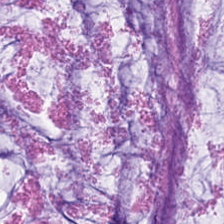Hematoxylin-and-eosin stained section.
Q: What type of tissue is this?
A: This is mucus.
